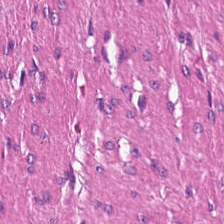Q: Classify this patch.
A: Muscularis.
